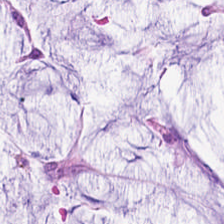Brightfield · H&E-stained tissue section · FFPE — Showing mucin.
